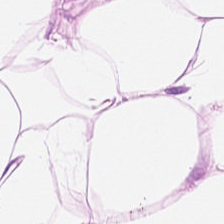224×224 pixel tile; H&E stain; formalin-fixed paraffin-embedded section — The tissue here is adipocytes.
